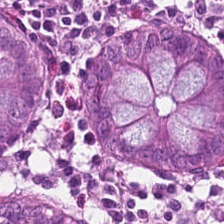Brightfield; hematoxylin and eosin; 0.5 µm/px.
Tissue class = non-neoplastic colon mucosa.
